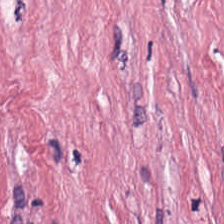Q: What tissue is shown?
A: Tumor-associated stroma.
